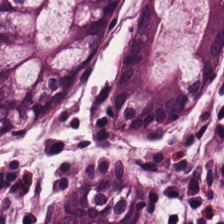Hematoxylin-and-eosin stained section — This field is benign colonic mucosa.
